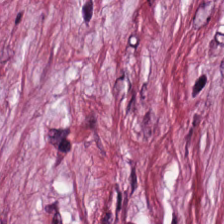H&E.
Q: Identify the tissue.
A: The field shows desmoplastic stroma.
